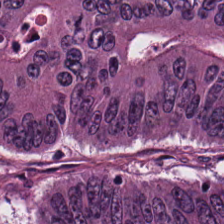Stain: hematoxylin and eosin.
Tissue type: colorectal adenocarcinoma.
